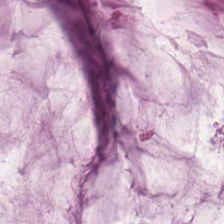H&E stain — Tissue — extracellular mucin.
